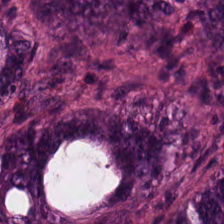H&E stain — Tissue type: malignant epithelium.
